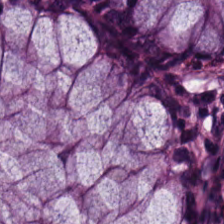The tissue here is normal colon mucosa.
